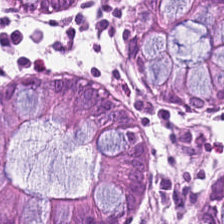H&E-stained tissue section showing non-neoplastic colon mucosa.
